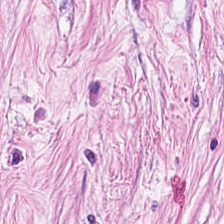Hematoxylin-and-eosin stained section.
The tissue here is tumor-associated stroma.
